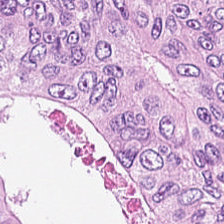The predominant tissue is tumor epithelium.
